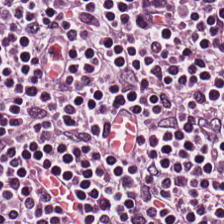H&E stain — Predominant tissue: lymphoid infiltrate.
